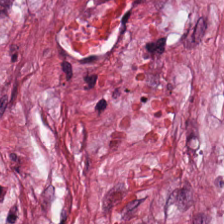Hematoxylin-and-eosin stained section · brightfield. The predominant tissue is desmoplastic stroma.
